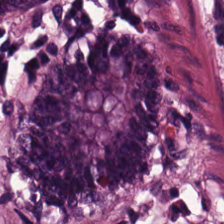Hematoxylin-and-eosin stained section; brightfield. The tissue here is benign colonic mucosa.
